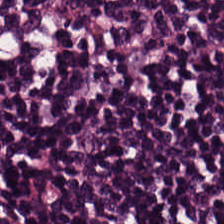Hematoxylin-and-eosin stained section. The tissue here is lymphoid infiltrate.
